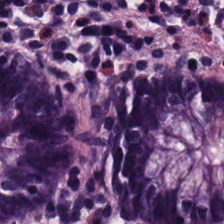Hematoxylin and eosin — This patch shows benign colonic mucosa.
